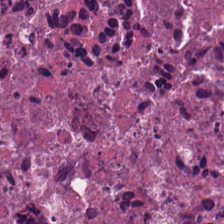Finding — necrotic debris.
